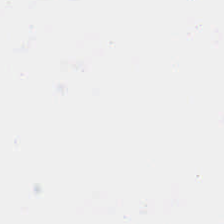Q: What is shown here?
A: It is empty background.
